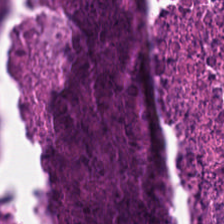Hematoxylin and eosin — Cellular debris.
